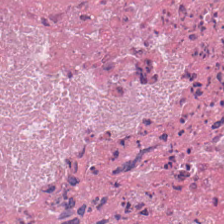Impression — debris.
